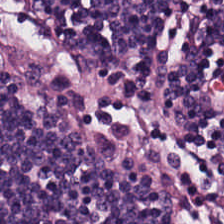Stain: hematoxylin and eosin.
Tissue class: lymphocytes.
